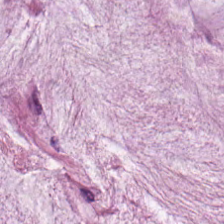H&E stain. {"tissue_type": "mucin"}
